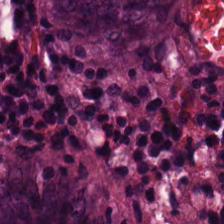Stain: hematoxylin-and-eosin stained section.
Tile size: 224×224 px patch.
Tissue class: normal colon mucosa.
